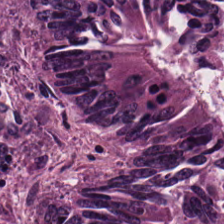Stain: H&E.
Predominant tissue: colorectal adenocarcinoma.
